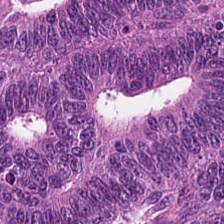Stain: hematoxylin-and-eosin stained section.
Preparation: formalin-fixed paraffin-embedded section.
Tissue: colorectal adenocarcinoma epithelium.
